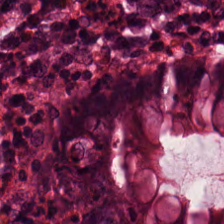0.5 microns per pixel; H&E; brightfield.
Showing normal colon mucosa.
